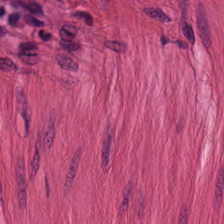Q: What is the predominant tissue type?
A: This is muscularis.
